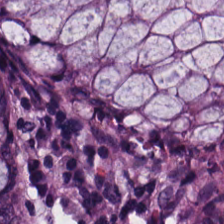H&E-stained tissue section · FFPE. Showing non-neoplastic colon mucosa.
